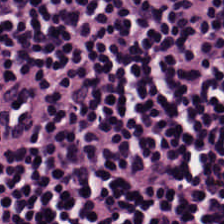Brightfield. Hematoxylin and eosin.
The tissue here is lymphoid infiltrate.
